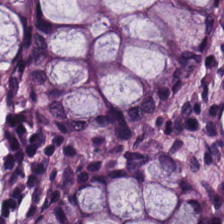Predominant tissue — normal colon mucosa.
